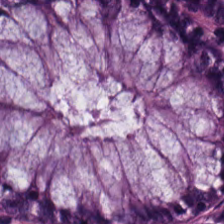Predominant tissue = normal colonic mucosa.
